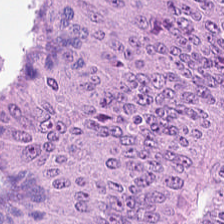This patch shows colorectal adenocarcinoma.
